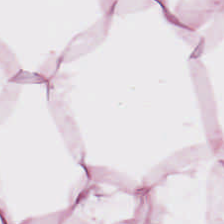This field is adipocytes.
